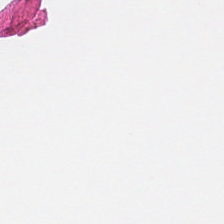{"content": "empty background"}
